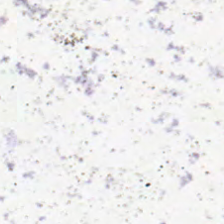Hematoxylin and eosin. Q: What does this patch show?
A: It is background.
